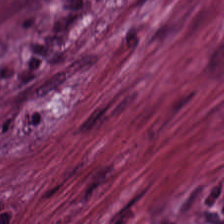The tissue is tumor stroma.
